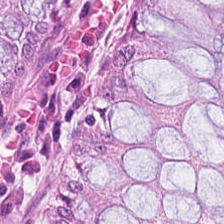H&E stain · FFPE tissue section — Impression → benign colonic mucosa.
